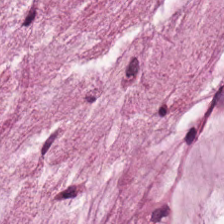Stain: hematoxylin-and-eosin stained section.
Tissue type: mucus.
